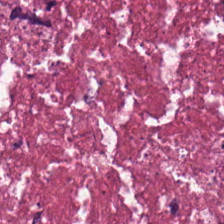Hematoxylin and eosin · 0.5 µm per pixel · formalin-fixed paraffin-embedded section — The tissue class is debris.
